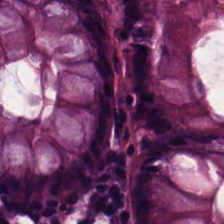Q: What does this patch show?
A: It is normal colonic mucosa.
